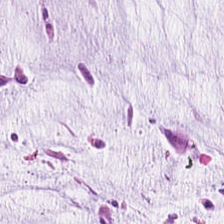Histology — mucin.
